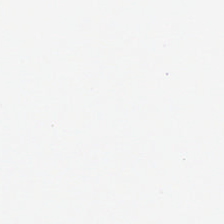Hematoxylin-and-eosin stained section.
This patch shows background (no tissue).
